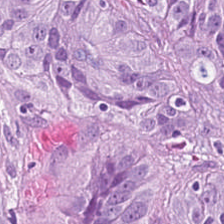Stain: hematoxylin and eosin.
Tile size: 224×224 px patch.
Resolution: 0.5 microns per pixel.
Tissue type: tumor epithelium.
